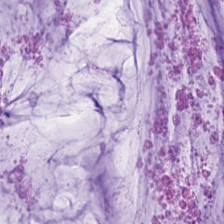H&E stain — The predominant tissue is mucus.
